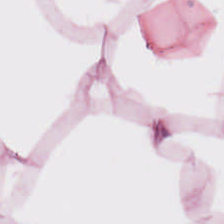Q: What type of tissue is this?
A: The field shows adipose tissue.
